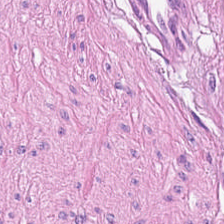Hematoxylin and eosin · brightfield. The tissue class is smooth-muscle tissue.
